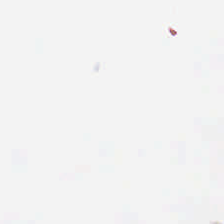H&E-stained tissue section. Histology — background (no tissue).
